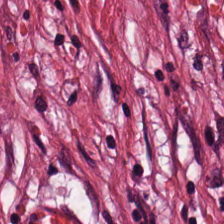Hematoxylin-and-eosin stained section. The tissue here is tumor stroma.
